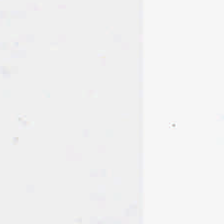H&E-stained tissue section.
Q: What does this patch show?
A: The field shows background.
